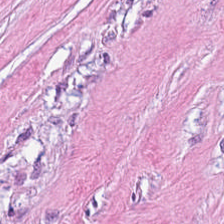Tissue class — desmoplastic stroma.
